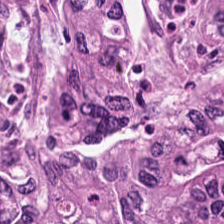0.5 µm/px. H&E-stained tissue section. Predominantly colorectal adenocarcinoma.
